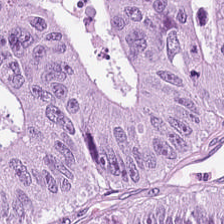Stain: hematoxylin and eosin.
Tile size: 224×224 px patch.
Acquisition: brightfield microscopy.
Classification: colorectal adenocarcinoma epithelium.
